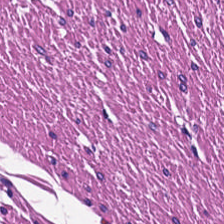H&E — Classification: smooth-muscle tissue.
